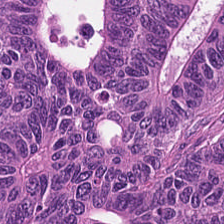Hematoxylin-and-eosin stained section — The predominant tissue is malignant epithelium.
